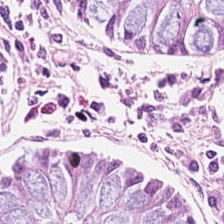H&E. Tissue type = normal colonic mucosa.
